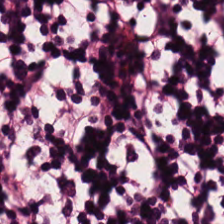H&E stain.
Tissue: lymphoid infiltrate.
